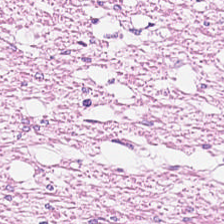FFPE · H&E — The tissue class is smooth-muscle tissue.
